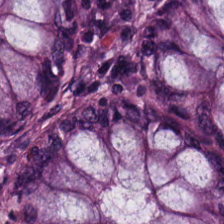H&E; 0.5 µm/px — Non-neoplastic colon mucosa.
